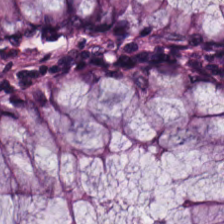H&E stain. Non-neoplastic colon mucosa.
